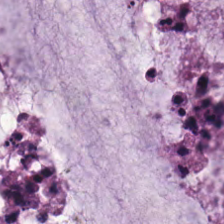H&E · formalin-fixed paraffin-embedded section — Impression → mucus.
